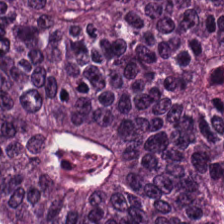H&E-stained tissue section; FFPE tissue section; 20× equivalent magnification.
The tissue here is tumor epithelium.
